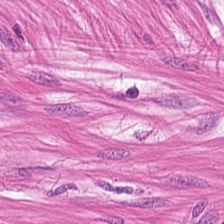H&E-stained tissue section — Q: What does this patch show?
A: Smooth muscle.
